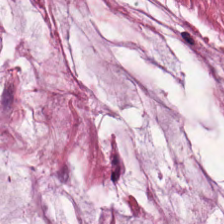H&E · 224×224 pixel tile.
Predominantly mucin.
